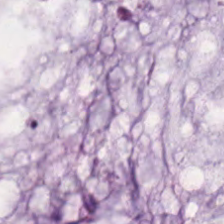Hematoxylin and eosin · 20× equivalent magnification.
Q: What tissue type is shown here?
A: Extracellular mucin.
